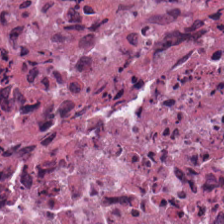H&E-stained tissue section showing debris.
